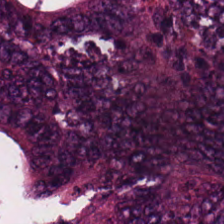Hematoxylin and eosin. The predominant tissue is colorectal adenocarcinoma epithelium.
